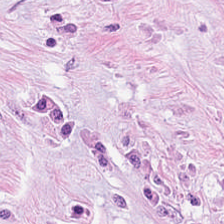20× equivalent magnification; whole-slide-image patch; H&E stain. {"tissue_type": "desmoplastic stroma"}
